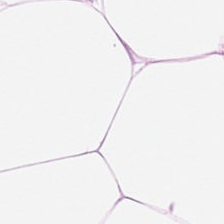224×224 px tile. Hematoxylin-and-eosin stained section — This patch shows adipose tissue.
